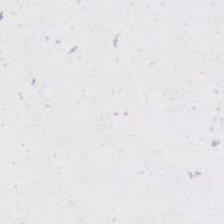H&E-stained tissue section — Background.
